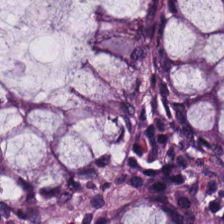H&E-stained tissue section; FFPE tissue section.
Showing benign colonic mucosa.
